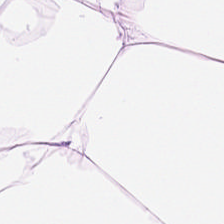Stain: hematoxylin and eosin.
Resolution: 0.5 µm per pixel.
Tissue class: adipose.
